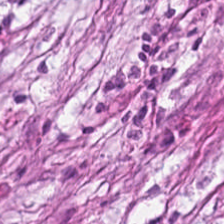Brightfield · hematoxylin and eosin · 224×224 px patch.
The tissue here is cancer-associated stroma.
